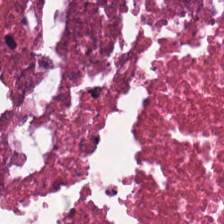H&E-stained tissue section.
Predominantly cellular debris.
